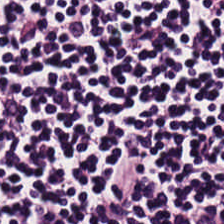H&E. Classification = lymphocytic infiltrate.
